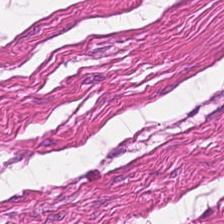Formalin-fixed paraffin-embedded section · H&E stain.
Showing muscularis.
